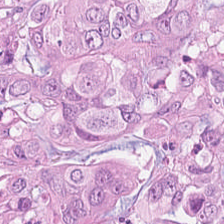FFPE tissue section; H&E stain.
Predominantly malignant epithelium.
